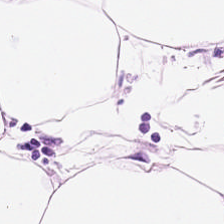Q: Identify the tissue.
A: This is fat tissue.
